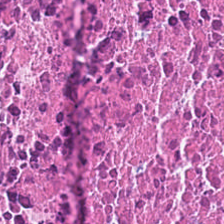H&E — This patch shows necrotic debris.
